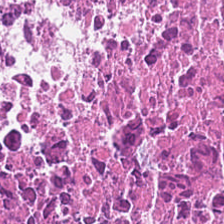H&E-stained tissue section · WSI patch · 0.5 microns per pixel.
Necrotic debris.
